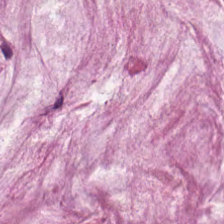H&E. Q: What is shown in this field?
A: This is mucin.
